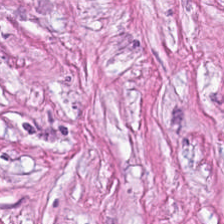Impression → desmoplastic stroma.
